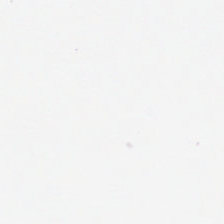Hematoxylin and eosin. Whole-slide-image patch. Q: What is shown in this field?
A: It is background.
